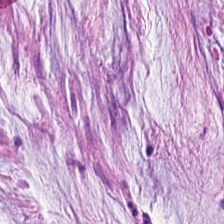H&E-stained tissue section. Predominant tissue: mucin.
